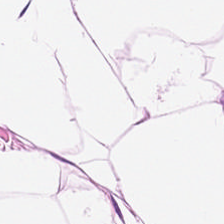H&E-stained tissue section. The predominant tissue is adipocytes.
